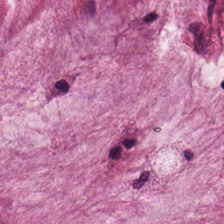Brightfield microscopy; hematoxylin and eosin; 224×224 pixel tile. This field is extracellular mucin.
